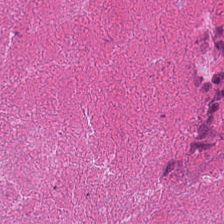Hematoxylin and eosin. Histology — debris.
